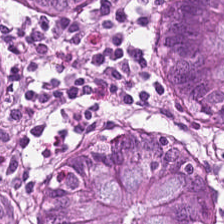H&E-stained tissue section.
The tissue here is normal colon mucosa.
